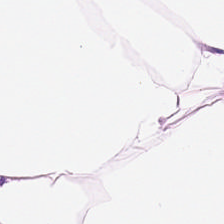H&E; 20× equivalent magnification; whole-slide-image patch. This field is fat tissue.
